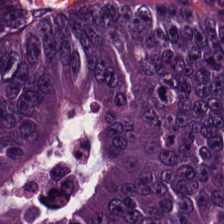Hematoxylin-and-eosin stained section · formalin-fixed paraffin-embedded section. The tissue here is tumor epithelium.
